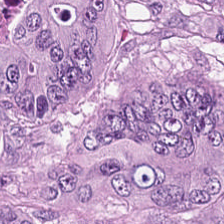Stain: H&E-stained tissue section.
Tile size: 224×224 px tile.
Tissue: colorectal adenocarcinoma epithelium.
